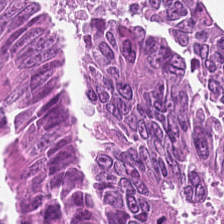224×224 pixel tile. 0.5 µm per pixel. H&E.
Showing tumor epithelium.
